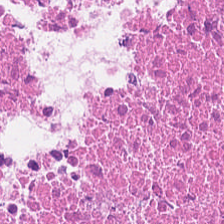{"tissue_type": "necrotic debris"}
